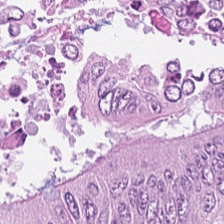FFPE tissue section · hematoxylin and eosin · brightfield microscopy.
Adenocarcinoma.
